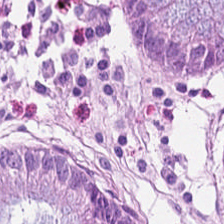Impression → normal colon mucosa.
